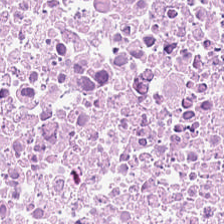H&E stain.
The predominant tissue is cellular debris.
